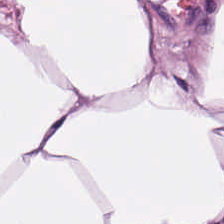Hematoxylin-and-eosin stained section.
Q: What does this patch show?
A: It is adipose.
